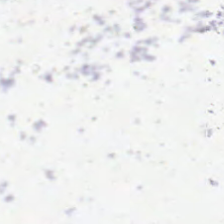WSI patch; H&E stain; FFPE.
Classification = no tissue.
